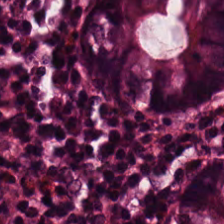20× equivalent magnification; 224×224 px tile; H&E stain.
Q: What tissue type is shown here?
A: This is normal colonic mucosa.
